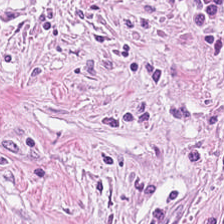H&E stain. 224×224 px patch. Tissue class: tumor stroma.
